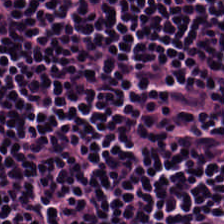H&E-stained tissue section — Tissue class: lymphocytes.
